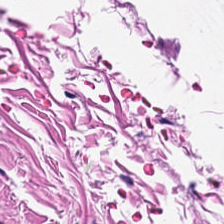Hematoxylin and eosin.
The tissue here is smooth muscle.
